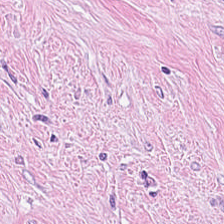H&E-stained section; the field shows cancer-associated stroma.
